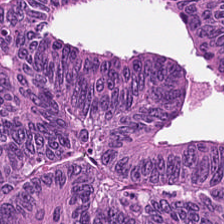Stain: hematoxylin and eosin.
Tissue type: colorectal adenocarcinoma.
